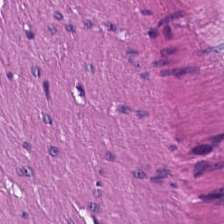The tissue here is muscularis.
